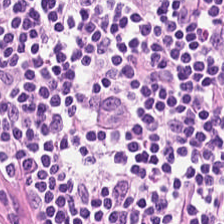H&E stain. Q: Classify this patch.
A: Lymphoid infiltrate.
